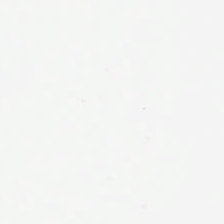Q: What does this patch show?
A: This is empty background.
